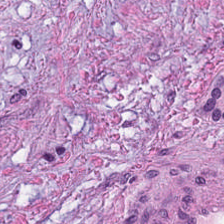H&E stain — The tissue here is desmoplastic stroma.
